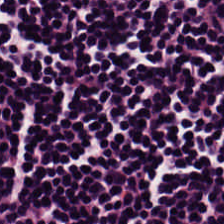Histology → lymphoid infiltrate.
